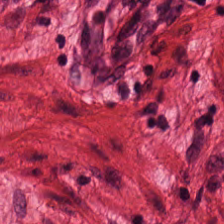H&E-stained tissue section.
The predominant tissue is smooth muscle.
